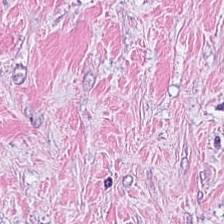Stain: hematoxylin and eosin.
Tissue class: cancer-associated stroma.
